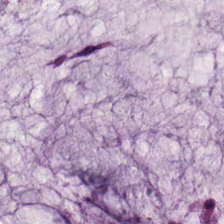0.5 microns per pixel · 224×224 px tile · H&E — Mucin.
